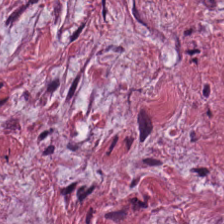Stain: H&E stain.
Resolution: 20× equivalent magnification.
Tissue class: tumor-associated stroma.
